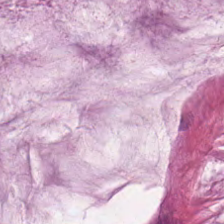Brightfield; H&E-stained tissue section; 224×224 px patch.
Predominantly mucus.
